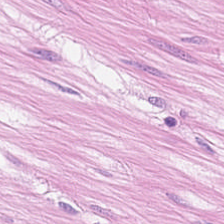Stain: H&E stain.
Tissue: smooth-muscle tissue.
